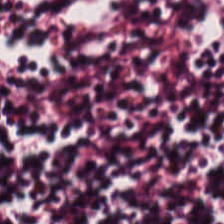224×224 pixel tile. H&E. Formalin-fixed paraffin-embedded section. Histology — lymphoid infiltrate.
